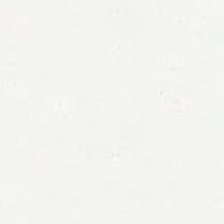H&E — Finding → background (no tissue).
